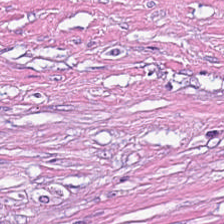H&E stain; brightfield. Finding — cancer-associated stroma.
